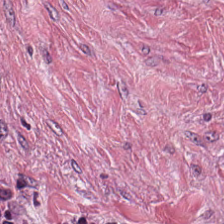Brightfield microscopy; H&E stain. Predominant tissue — cancer-associated stroma.
